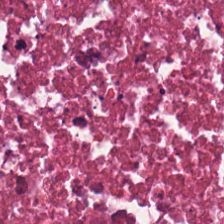Tissue type: debris.
